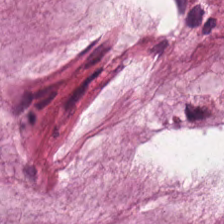Stain: hematoxylin-and-eosin stained section.
Classification: extracellular mucin.
